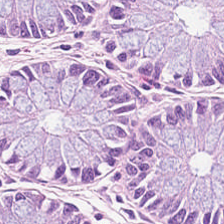Formalin-fixed paraffin-embedded section; 224×224 px patch; hematoxylin-and-eosin stained section.
Q: What tissue type is shown here?
A: It is normal colonic mucosa.
